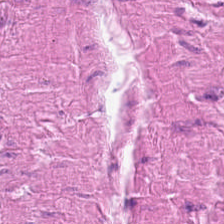H&E stain · FFPE tissue section · 224×224 pixel tile.
Tissue class — smooth muscle.
